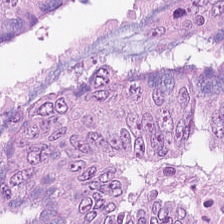Hematoxylin and eosin · 224×224 pixel tile — Showing colorectal adenocarcinoma epithelium.
